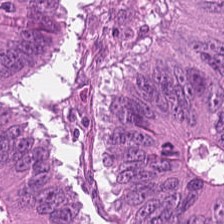H&E stain. Predominant tissue — tumor epithelium.
